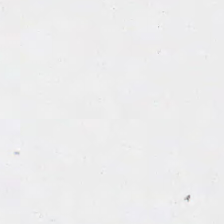Hematoxylin-and-eosin stained section. Background.
